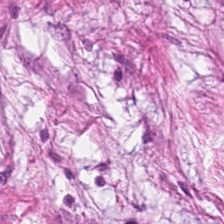H&E stain; 224×224 px patch — Impression — cancer-associated stroma.
